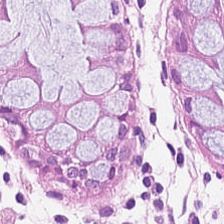Q: What tissue is shown?
A: The field shows normal colon mucosa.
